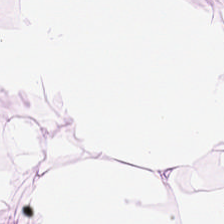Brightfield; 224×224 pixel tile; hematoxylin-and-eosin stained section.
The tissue here is adipocytes.
